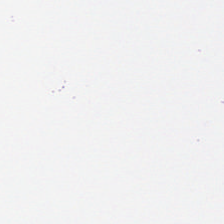Brightfield; H&E stain. No tissue present; background only.
